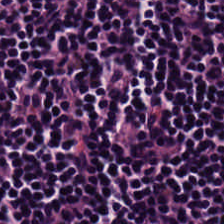H&E-stained tissue section.
This field is lymphocyte aggregate.
